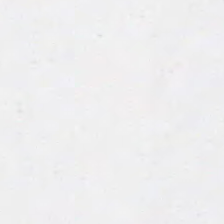H&E. 224×224 pixel tile — Q: What is shown in this field?
A: Empty background.
